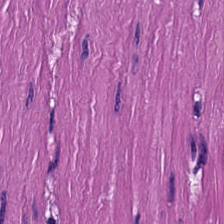Hematoxylin and eosin. This patch shows smooth-muscle tissue.
